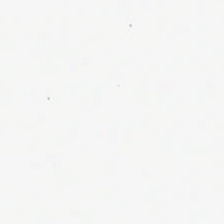FFPE tissue section; H&E; 224×224 px tile. Field content = no tissue.
